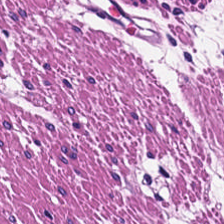Formalin-fixed paraffin-embedded section. Hematoxylin and eosin. Predominant tissue: smooth-muscle tissue.
